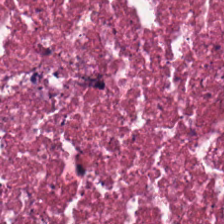H&E-stained tissue section. Predominantly necrotic debris.
